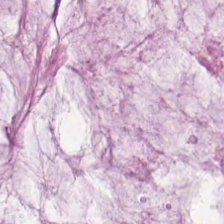The tissue here is extracellular mucin.
